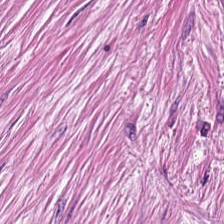Hematoxylin and eosin. Histology — tumor-associated stroma.
